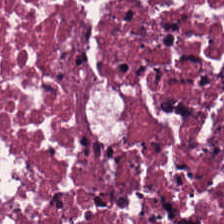H&E stain. Q: Identify the tissue.
A: This is cellular debris.
